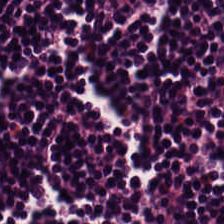224×224 pixel tile. H&E stain — The tissue class is lymphoid infiltrate.
